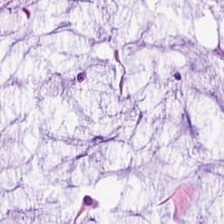Brightfield microscopy; hematoxylin and eosin. Predominant tissue: mucus.
